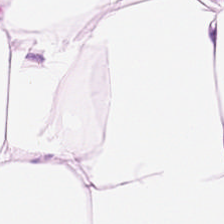Stain: H&E stain.
Tissue type: fat tissue.
